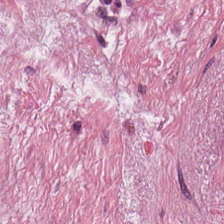Tissue type — tumor-associated stroma.
